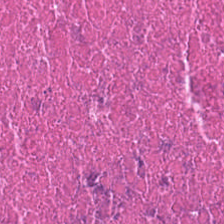H&E-stained tissue section.
Finding → necrotic debris.
